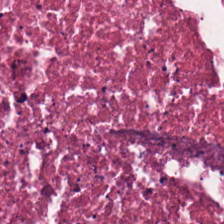H&E stain · whole-slide-image patch.
Predominant tissue — cellular debris.
